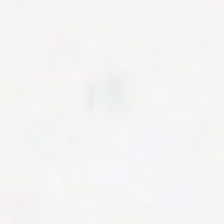Hematoxylin-and-eosin stained section — This patch shows background (no tissue).
